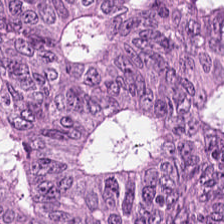WSI patch. Hematoxylin and eosin — Showing malignant epithelium.
